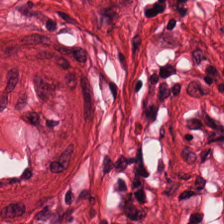Stain: H&E-stained tissue section.
Tile size: 224×224 px patch.
Acquisition: WSI patch.
Classification: smooth muscle.
